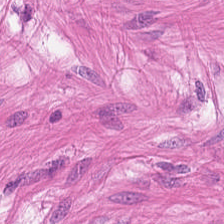20× equivalent magnification. H&E stain. Tissue class = muscularis.
